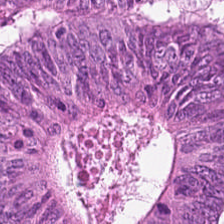Hematoxylin-and-eosin stained section. Colorectal adenocarcinoma epithelium.
